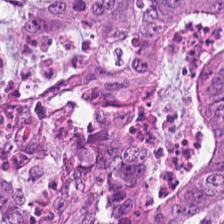H&E-stained tissue section. FFPE — Predominantly adenocarcinoma.
